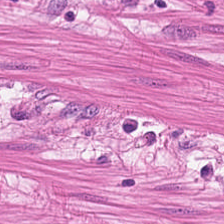Stain: H&E.
Classification: smooth muscle.
